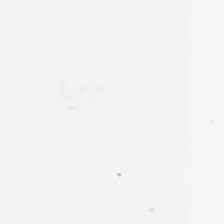0.5 µm per pixel; whole-slide-image patch; hematoxylin-and-eosin stained section. Q: What is shown here?
A: The field shows no tissue.
